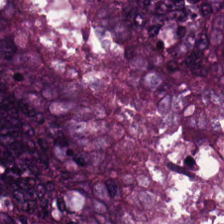H&E stain. 20× equivalent magnification.
Predominantly adenocarcinoma.
